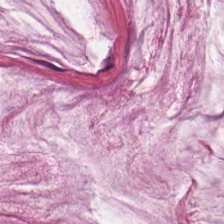H&E-stained tissue section.
Showing extracellular mucin.
